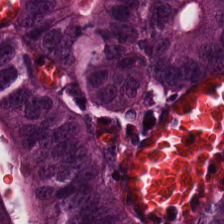Q: What tissue type is shown here?
A: Adenocarcinoma.
